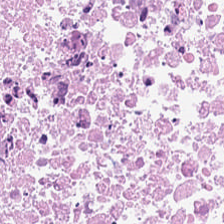This field is debris.
